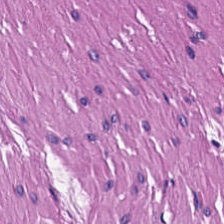Tissue = smooth-muscle tissue.
